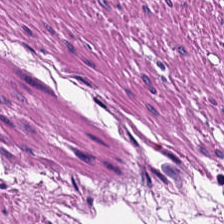Hematoxylin and eosin · 0.5 µm per pixel · whole-slide-image patch.
Q: Classify this patch.
A: It is smooth-muscle tissue.
